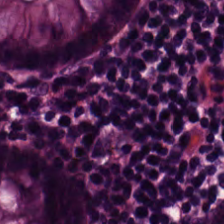Hematoxylin-and-eosin stained section. Showing normal colon mucosa.
